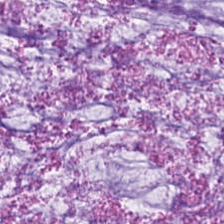Hematoxylin and eosin. The predominant tissue is mucus.
